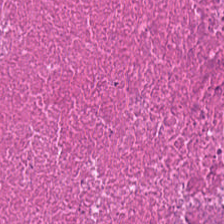Hematoxylin and eosin. 224×224 pixel tile — Predominant tissue: debris.
